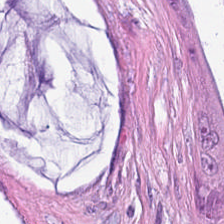Hematoxylin-and-eosin stained section — Predominantly mucus.
